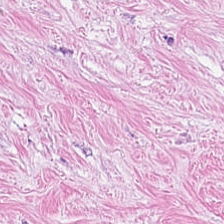The tissue here is tumor stroma.
